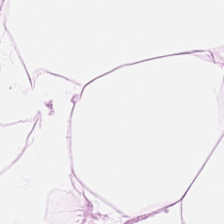FFPE; hematoxylin and eosin.
This field is fat tissue.
